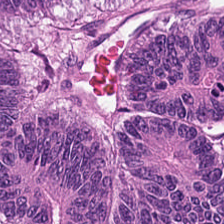Finding → tumor epithelium.
